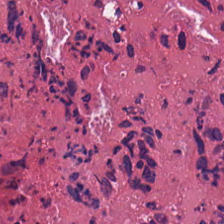224×224 px patch; 20× equivalent magnification; H&E — Cellular debris.
